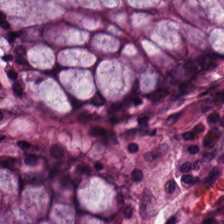Formalin-fixed paraffin-embedded section; H&E-stained tissue section — Predominantly non-neoplastic colon mucosa.
